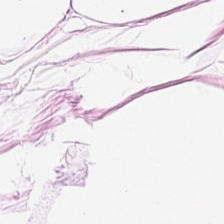Stain: H&E.
Acquisition: brightfield.
Tile size: 224×224 px tile.
Classification: adipocytes.
